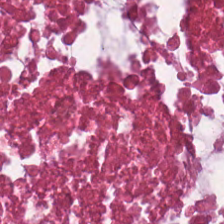H&E-stained tissue section; brightfield microscopy.
Predominant tissue = necrotic debris.
